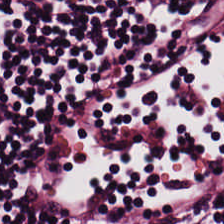H&E.
Q: What is shown here?
A: It is lymphoid infiltrate.
